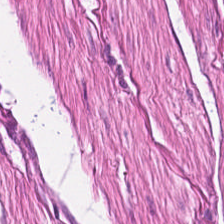Stain: H&E.
Preparation: FFPE tissue section.
Tile size: 224×224 pixel tile.
Tissue: smooth-muscle tissue.
